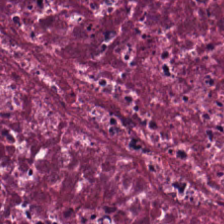Hematoxylin-and-eosin section: cellular debris.
